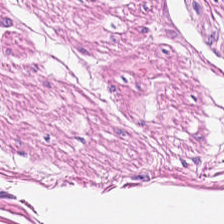Formalin-fixed paraffin-embedded section · hematoxylin-and-eosin stained section.
Smooth muscle.
